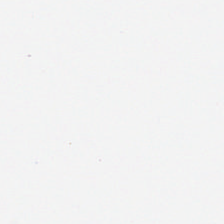H&E. Background — no tissue in this field.
